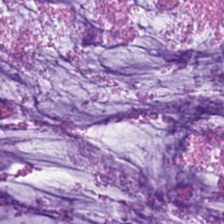H&E-stained tissue section — Q: What tissue is shown?
A: Mucus.
